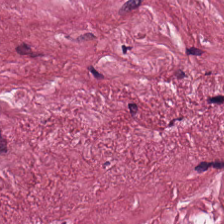H&E; 20× equivalent magnification. Tissue class — desmoplastic stroma.
